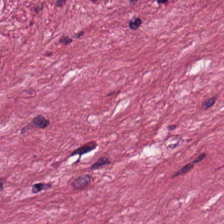0.5 µm/px; H&E stain — Predominantly desmoplastic stroma.
